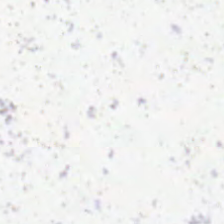H&E. Background — no tissue in this field.
